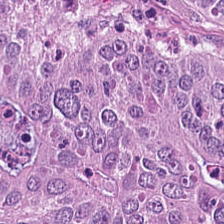Q: What tissue is shown?
A: It is malignant epithelium.
